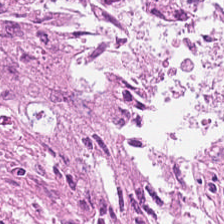Classification = malignant epithelium.
